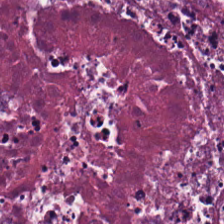H&E · 20× equivalent magnification — Cellular debris.
